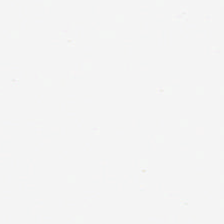Hematoxylin and eosin.
Q: What is shown in this field?
A: This is background.
